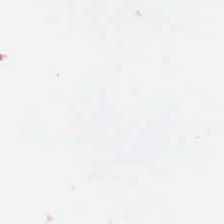H&E-stained tissue section. FFPE. 0.5 microns per pixel. Classification = background (no tissue).
